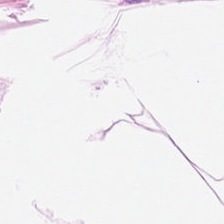Stain: H&E.
Resolution: 20× equivalent magnification.
Classification: adipose.
